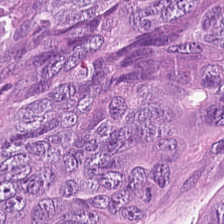Histology — adenocarcinoma.
